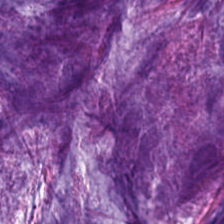The tissue here is mucin.
